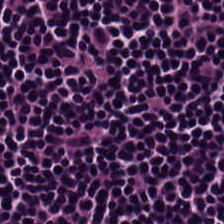Tissue — lymphocytic infiltrate.
